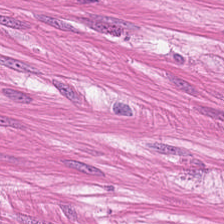H&E-stained tissue section; 20× equivalent magnification — The tissue type is smooth-muscle tissue.
